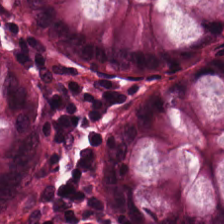H&E stain. The predominant tissue is benign colonic mucosa.
